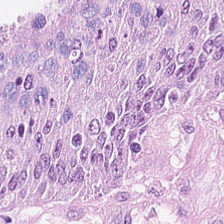224×224 px patch · hematoxylin-and-eosin stained section · FFPE tissue section — Tissue type: tumor epithelium.
